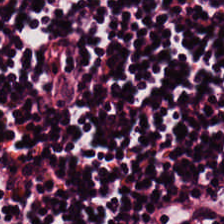H&E.
Tissue class: lymphocytic infiltrate.
